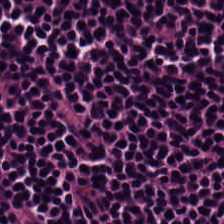Hematoxylin and eosin. FFPE tissue section.
Predominantly lymphoid infiltrate.
